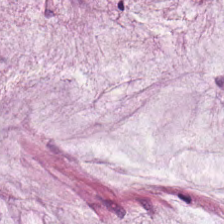Showing extracellular mucin.
